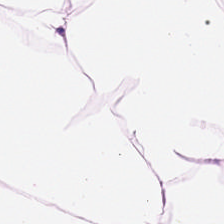Tissue class — adipose tissue.
